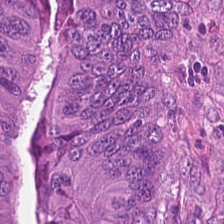Classification — adenocarcinoma.
